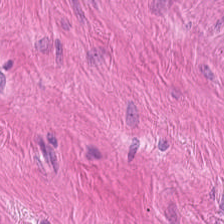0.5 µm per pixel. H&E.
Showing smooth muscle.
